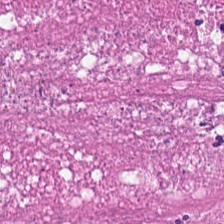Formalin-fixed paraffin-embedded section. Hematoxylin and eosin. Brightfield microscopy. Predominantly necrotic debris.
